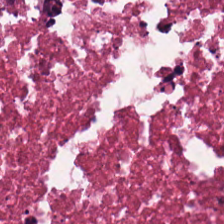Stain: H&E stain.
Tissue class: necrotic debris.
